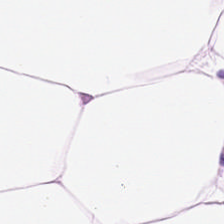H&E patch showing adipose.
